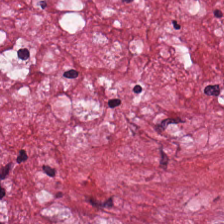Hematoxylin and eosin — Tumor-associated stroma.
